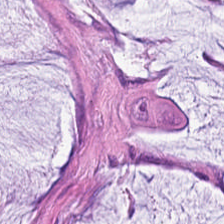This patch shows extracellular mucin.
